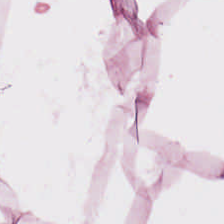Q: What tissue type is shown here?
A: The field shows adipocytes.
